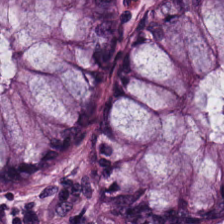FFPE tissue section. Hematoxylin and eosin — Classification = normal colonic mucosa.
